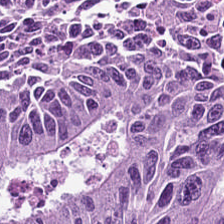Stain: hematoxylin and eosin.
Resolution: 0.5 µm/px.
Acquisition: WSI patch.
Classification: colorectal adenocarcinoma epithelium.
